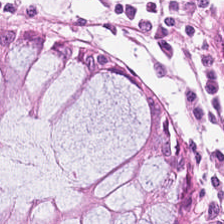Stain: hematoxylin and eosin.
Tissue: benign colonic mucosa.
